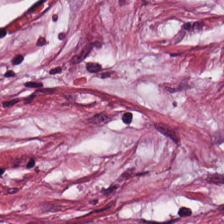{"tissue_type": "desmoplastic stroma"}
